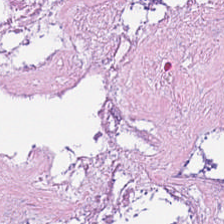The tissue is necrotic debris.
